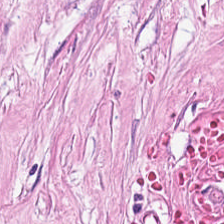Hematoxylin and eosin — Predominantly desmoplastic stroma.
